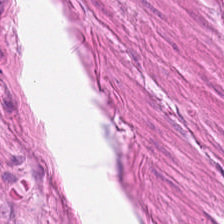H&E-stained tissue section; brightfield microscopy; 0.5 µm/px.
Q: What is the predominant tissue type?
A: Muscularis.
